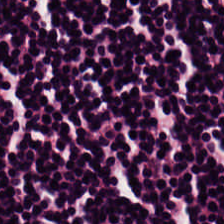H&E-stained tissue section · whole-slide-image patch · FFPE tissue section — Predominantly lymphoid infiltrate.
